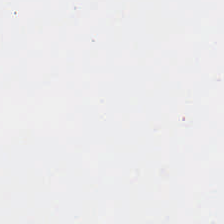Stain: H&E.
Resolution: 20× equivalent magnification.
Acquisition: whole-slide-image patch.
Field content: background.
